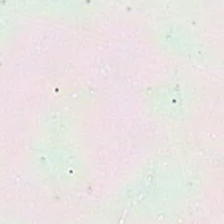0.5 µm/px; hematoxylin and eosin.
Q: Classify this patch.
A: The field shows background.
